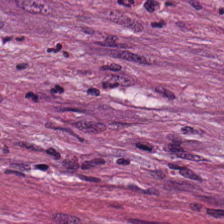Stain: H&E.
Classification: desmoplastic stroma.
